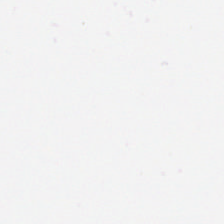H&E. 0.5 µm per pixel. This patch shows background.
